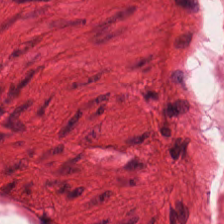H&E-stained tissue section; brightfield microscopy. The classification is smooth-muscle tissue.
